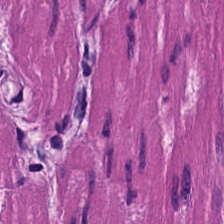0.5 µm per pixel · H&E — Impression → muscularis.
